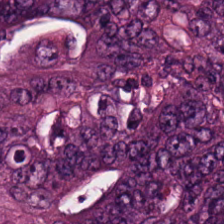Hematoxylin-and-eosin stained section. Finding → colorectal adenocarcinoma.
